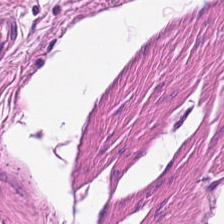H&E-stained tissue section · WSI patch — Tissue type — smooth-muscle tissue.
